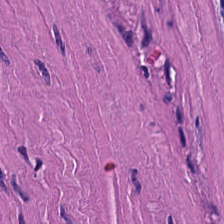0.5 µm per pixel; hematoxylin and eosin — Classification = muscularis.
